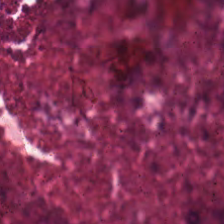H&E. The classification is necrotic debris.
